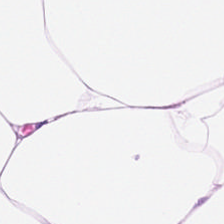Showing adipose.
